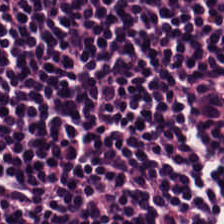H&E stain; FFPE tissue section. Classification — lymphocytic infiltrate.
